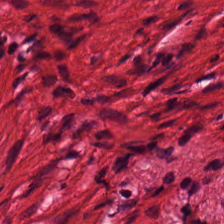Hematoxylin-and-eosin stained section — Q: What tissue type is shown here?
A: It is muscularis.
